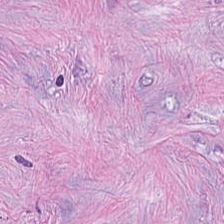H&E-stained tissue section · FFPE tissue section · 224×224 pixel tile — The tissue here is desmoplastic stroma.
